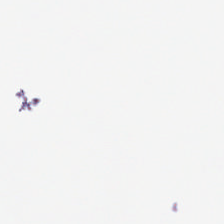H&E. Background (no tissue).
